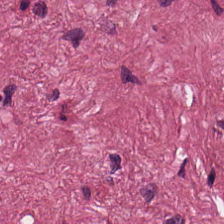H&E stain — Cancer-associated stroma.
